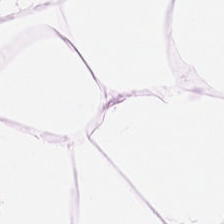Q: What is shown here?
A: Adipose tissue.
